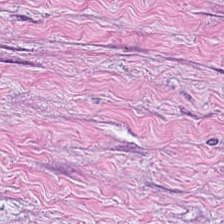Tissue — cancer-associated stroma.
